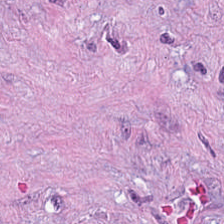H&E.
Q: What is the predominant tissue type?
A: It is tumor-associated stroma.
